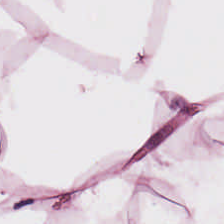H&E-stained tissue section. Classification: adipose tissue.
